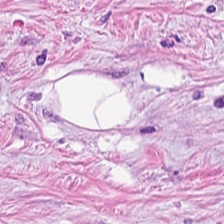The predominant tissue is tumor-associated stroma.
